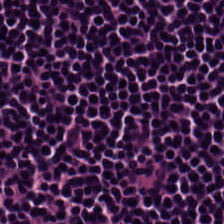H&E · 0.5 µm per pixel — Tissue type: lymphocyte aggregate.
